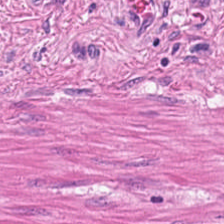H&E. Whole-slide-image patch.
{"tissue_type": "smooth muscle"}
